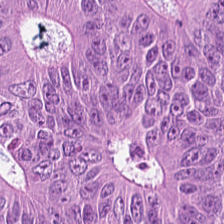WSI patch · H&E.
The tissue here is colorectal adenocarcinoma.
